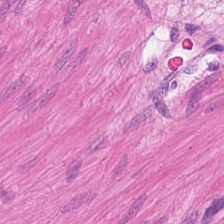H&E-stained tissue section — This patch shows smooth muscle.
